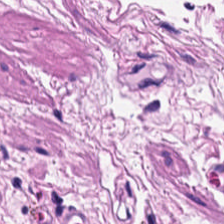{"tissue_type": "smooth-muscle tissue"}
